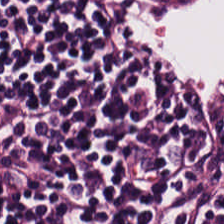Hematoxylin and eosin. 0.5 µm/px. FFPE — Histology → lymphocytes.
